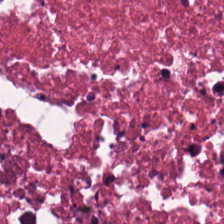Hematoxylin-and-eosin stained section — The tissue here is necrotic debris.
